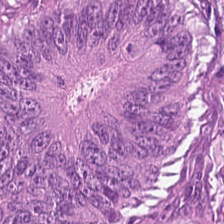Hematoxylin and eosin.
Tissue class = tumor epithelium.
